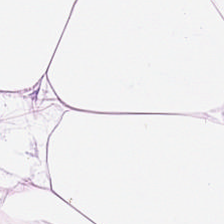Stain: H&E stain.
Classification: adipose tissue.
